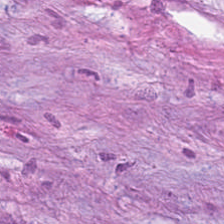Hematoxylin-and-eosin stained section. Classification: desmoplastic stroma.
